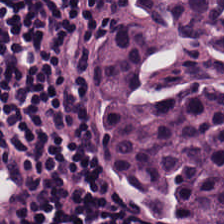H&E.
Tissue class: lymphocyte aggregate.
